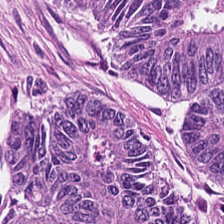H&E-stained tissue section; 20× equivalent magnification.
Colorectal adenocarcinoma.
